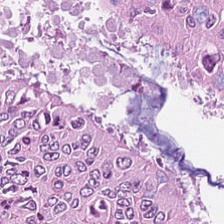Q: What is shown in this field?
A: Adenocarcinoma.
